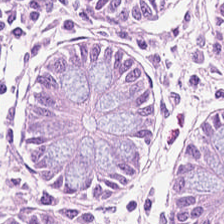Histology — non-neoplastic colon mucosa.
